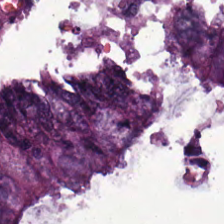H&E-stained tissue section — The predominant tissue is tumor epithelium.
